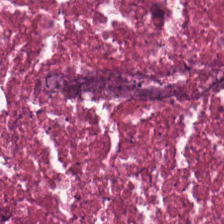0.5 µm/px; H&E-stained tissue section; whole-slide-image patch.
The predominant tissue is necrotic debris.
